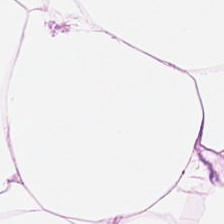H&E — Tissue = fat tissue.
